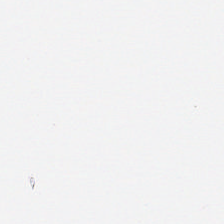FFPE. H&E stain — This patch shows empty background.
